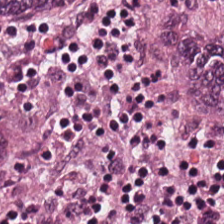Hematoxylin-and-eosin stained section. Q: What does this patch show?
A: This is malignant epithelium.
